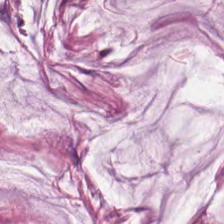Hematoxylin and eosin.
Impression — mucus.
